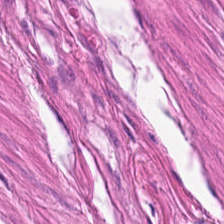Hematoxylin and eosin.
Tissue: muscularis.
